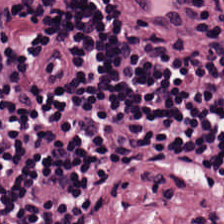Stain: hematoxylin-and-eosin stained section.
Tissue class: lymphocyte aggregate.
